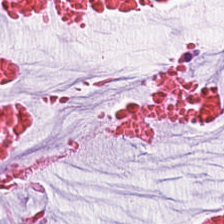H&E stain.
Mucin.
